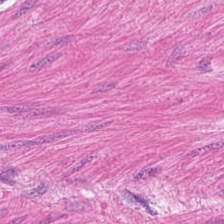H&E stain — Impression → smooth muscle.
